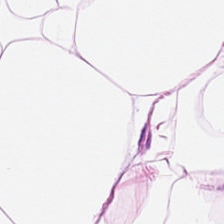H&E. FFPE. 0.5 µm/px.
Tissue — adipose tissue.
